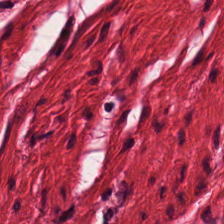Finding — smooth-muscle tissue.
